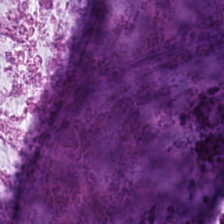FFPE. H&E-stained tissue section.
The classification is mucus.
